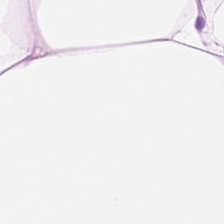Brightfield microscopy; hematoxylin-and-eosin stained section; 0.5 microns per pixel. The tissue class is fat tissue.
